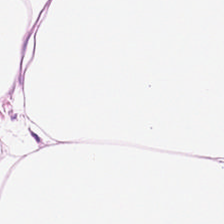Hematoxylin-and-eosin stained section. Q: What is the predominant tissue type?
A: Adipose tissue.
